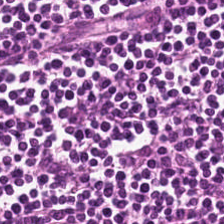20× equivalent magnification · H&E stain — Tissue type = lymphocytes.
